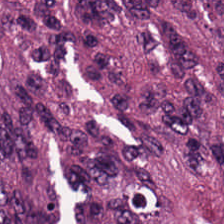0.5 microns per pixel; H&E; FFPE.
Tissue: colorectal adenocarcinoma.
